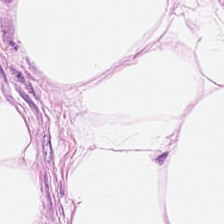Hematoxylin-and-eosin section: adipocytes.
